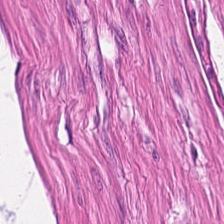H&E stain. Predominantly smooth-muscle tissue.
